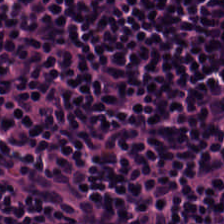H&E-stained tissue section; 0.5 microns per pixel; FFPE tissue section. {"tissue_type": "lymphocyte aggregate"}
